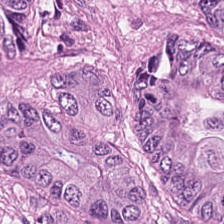Impression — colorectal adenocarcinoma.
